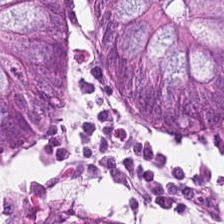224×224 pixel tile · FFPE tissue section · H&E stain.
{"tissue_type": "normal colon mucosa"}
